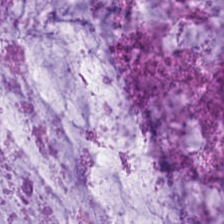H&E stain — This field is extracellular mucin.
